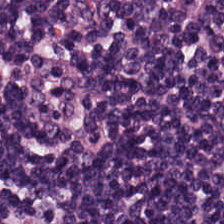H&E-stained tissue section.
{"tissue_type": "lymphocytes"}
